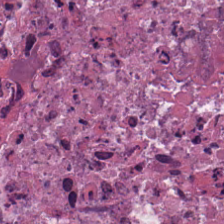Hematoxylin-and-eosin stained section; 224×224 px patch — Histology — necrotic debris.
